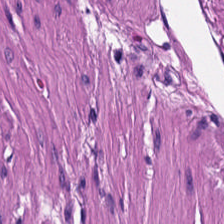H&E stain — Classification: smooth-muscle tissue.
